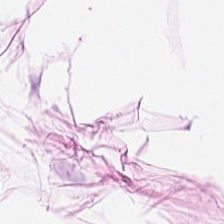{"tissue_type": "adipocytes"}
